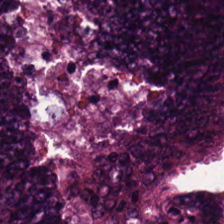Hematoxylin-and-eosin stained section. Histology — tumor epithelium.
